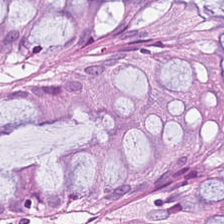{"tissue_type": "normal colon mucosa"}
